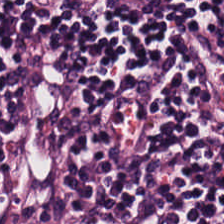This field is lymphocytic infiltrate.
